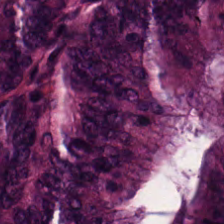FFPE tissue section; H&E stain — Predominantly malignant epithelium.
